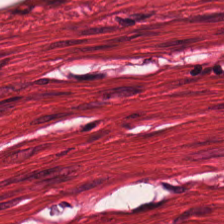Formalin-fixed paraffin-embedded section. H&E stain. Brightfield microscopy.
The classification is smooth muscle.
